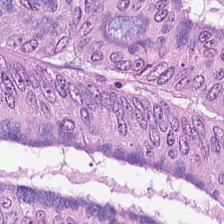224×224 px tile. Hematoxylin-and-eosin stained section — Q: What tissue is shown?
A: It is malignant epithelium.
